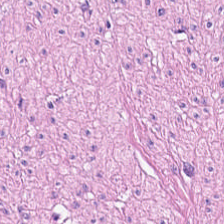Tissue type: smooth-muscle tissue.
